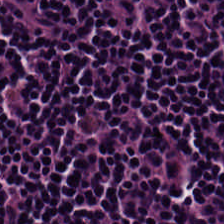H&E. 0.5 µm/px. Tissue class — lymphocytes.
